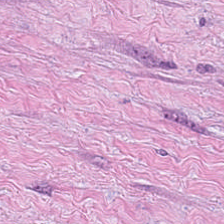Hematoxylin-and-eosin section: cancer-associated stroma.
